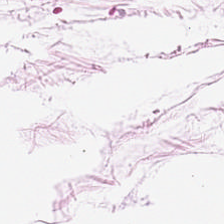Formalin-fixed paraffin-embedded section; hematoxylin and eosin.
Adipose.
